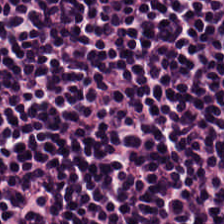Hematoxylin-and-eosin stained section. This patch shows lymphocytes.
